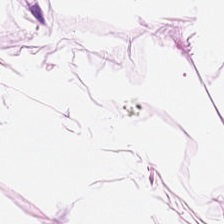Hematoxylin and eosin. This patch shows adipocytes.
